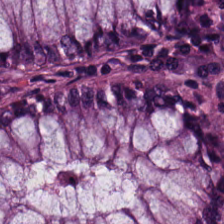FFPE tissue section; H&E-stained tissue section.
This field is normal colonic mucosa.
